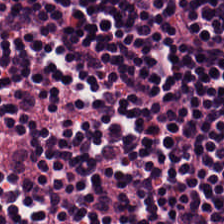H&E.
Predominantly lymphocytic infiltrate.
